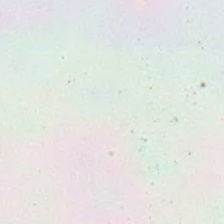Classification = empty background.
